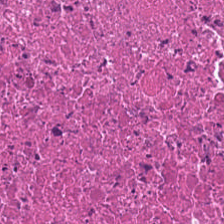H&E-stained tissue section — Debris.
